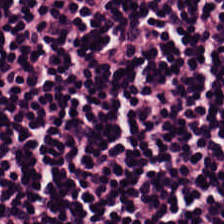Hematoxylin-and-eosin stained section; 224×224 pixel tile. Tissue class — lymphoid infiltrate.
